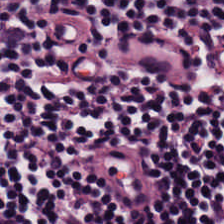Hematoxylin and eosin; brightfield microscopy; 0.5 µm per pixel.
Q: What is shown in this field?
A: This is lymphocyte aggregate.
